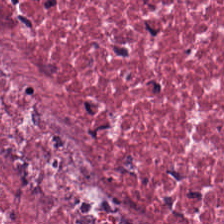Cancer-associated stroma.
